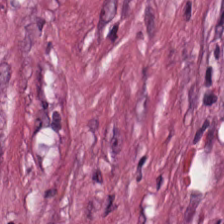Hematoxylin and eosin; 20× equivalent magnification — Desmoplastic stroma.
